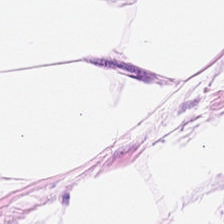Hematoxylin and eosin. Adipocytes.
